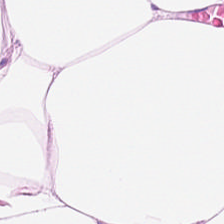224×224 px patch · hematoxylin-and-eosin stained section. The classification is adipose.
